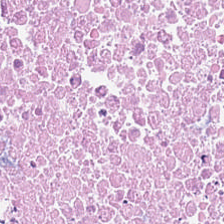H&E-stained tissue section showing cellular debris.
